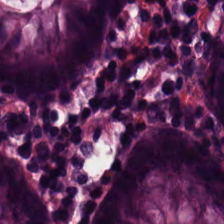Stain: H&E stain.
Tissue class: non-neoplastic colon mucosa.
